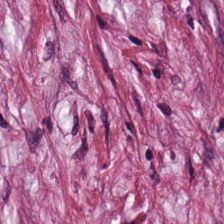Q: What tissue is shown?
A: It is desmoplastic stroma.
